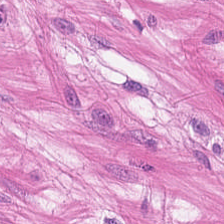Predominantly smooth-muscle tissue.
